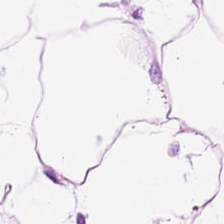Hematoxylin-and-eosin stained section — Histology → adipocytes.
